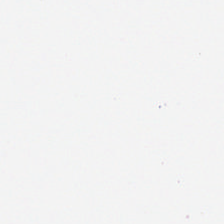Stain: hematoxylin-and-eosin stained section.
Preparation: formalin-fixed paraffin-embedded section.
Acquisition: WSI patch.
Classification: no tissue.
